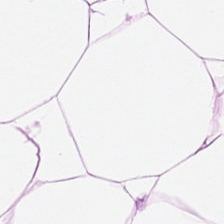Hematoxylin-and-eosin section: fat tissue.
